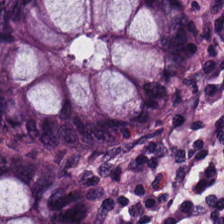Stain: H&E.
Resolution: 0.5 µm/px.
Tissue class: benign colonic mucosa.
